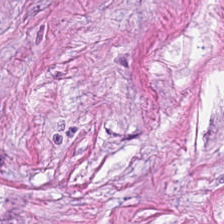224×224 px patch. H&E-stained tissue section — Tissue class — tumor stroma.
